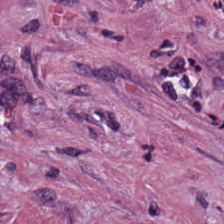H&E — Predominantly cancer-associated stroma.
